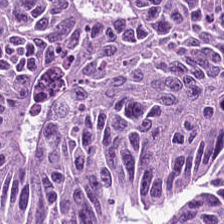H&E. Predominantly adenocarcinoma.
